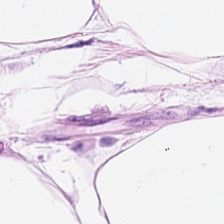Hematoxylin-and-eosin stained section — Classification — adipose tissue.
